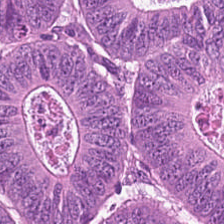Hematoxylin and eosin — Classification: tumor epithelium.
